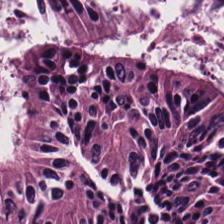Finding → adenocarcinoma.
